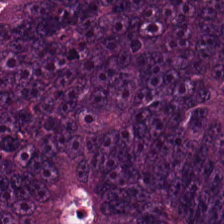Stain: H&E stain.
Tile size: 224×224 pixel tile.
Preparation: formalin-fixed paraffin-embedded section.
Tissue: colorectal adenocarcinoma epithelium.
